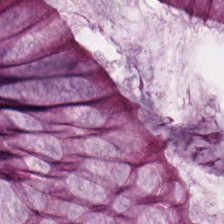224×224 px tile. H&E stain — The tissue is normal colonic mucosa.
